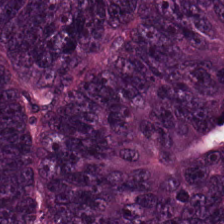Stain: hematoxylin-and-eosin stained section.
Tissue class: tumor epithelium.
